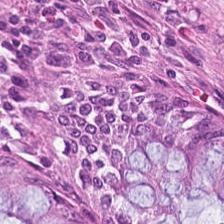Hematoxylin-and-eosin stained section.
The tissue here is normal colonic mucosa.
